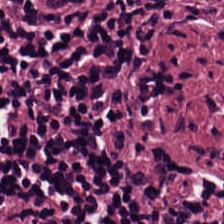0.5 µm per pixel. H&E — The predominant tissue is lymphocytic infiltrate.
